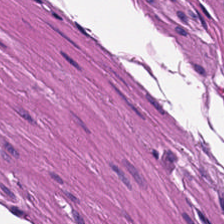Hematoxylin and eosin.
The tissue is smooth-muscle tissue.
